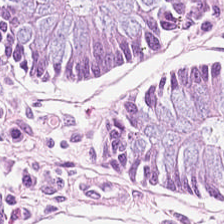Hematoxylin and eosin. This patch shows normal colonic mucosa.
